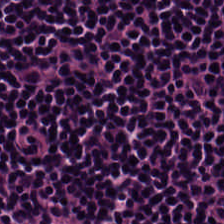H&E — Q: What tissue is shown?
A: This is lymphocytic infiltrate.
